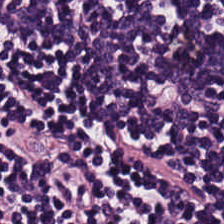Hematoxylin-and-eosin stained section. Classification: lymphocyte aggregate.
